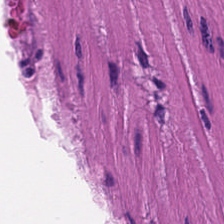Hematoxylin and eosin · FFPE.
Showing smooth-muscle tissue.
